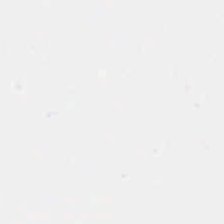H&E-stained tissue section. No tissue present; background only.
